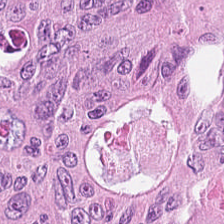Stain: H&E stain.
Acquisition: WSI patch.
Predominant tissue: tumor epithelium.
